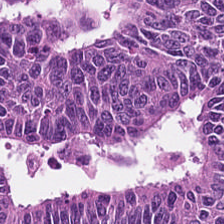Brightfield · H&E · formalin-fixed paraffin-embedded section.
{"tissue_type": "tumor epithelium"}
